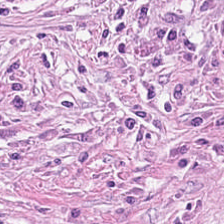WSI patch · H&E · FFPE tissue section. The tissue class is tumor stroma.
